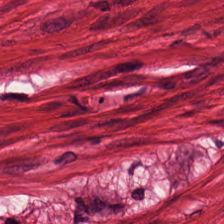Hematoxylin-and-eosin stained section · 20× equivalent magnification.
This patch shows smooth muscle.
